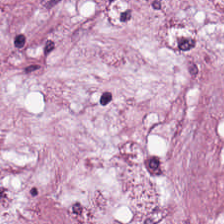The tissue is tumor stroma.
